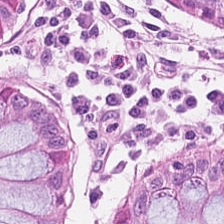Tissue: normal colon mucosa.
